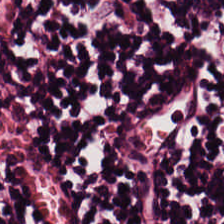0.5 µm per pixel; hematoxylin and eosin. Lymphocyte aggregate.
